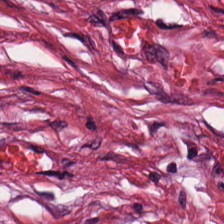Hematoxylin and eosin.
The predominant tissue is tumor stroma.
